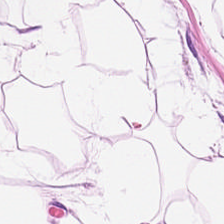H&E-stained section; the field shows adipocytes.
